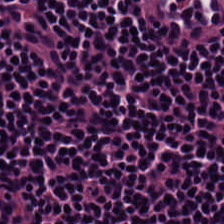Stain: H&E stain.
Classification: lymphoid infiltrate.
